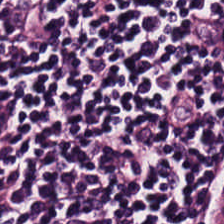Stain: hematoxylin-and-eosin stained section.
Resolution: 20× equivalent magnification.
Tile size: 224×224 pixel tile.
Classification: lymphocyte aggregate.
